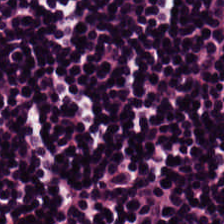Hematoxylin-and-eosin stained section.
The tissue here is lymphocytic infiltrate.
